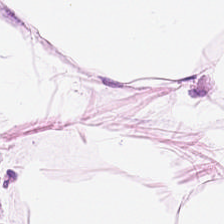H&E · brightfield microscopy.
Q: What tissue type is shown here?
A: Adipose tissue.
